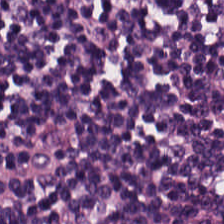Hematoxylin-and-eosin stained section.
The classification is lymphocyte aggregate.
